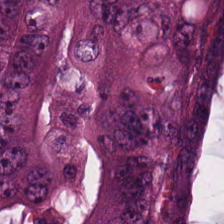Stain: hematoxylin and eosin.
Predominant tissue: colorectal adenocarcinoma epithelium.
